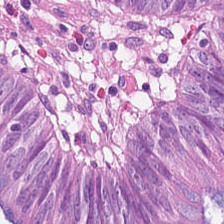Stain: hematoxylin-and-eosin stained section.
Tissue type: colorectal adenocarcinoma epithelium.
